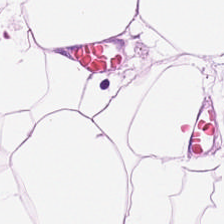H&E-stained tissue section. Adipocytes.
